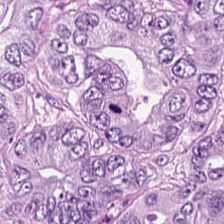0.5 microns per pixel · H&E-stained tissue section. Q: Identify the tissue.
A: It is adenocarcinoma.
